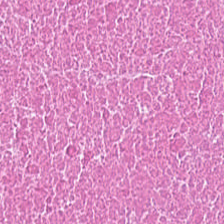{"tissue_type": "necrotic debris"}
